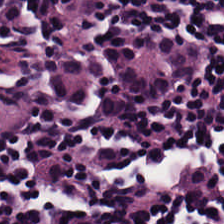H&E stain — The tissue type is lymphoid infiltrate.
